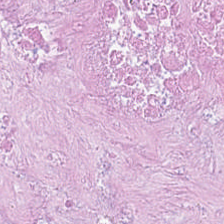Hematoxylin and eosin. The predominant tissue is cellular debris.
